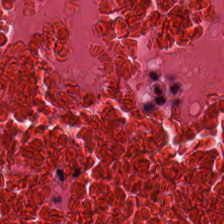224×224 px patch; hematoxylin and eosin. The tissue here is necrotic debris.
